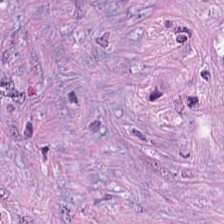Stain: hematoxylin-and-eosin stained section.
Tile size: 224×224 pixel tile.
Resolution: 20× equivalent magnification.
Tissue class: cancer-associated stroma.
